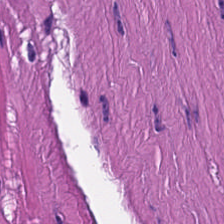This patch shows smooth-muscle tissue.
